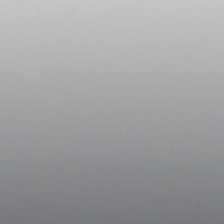H&E-stained tissue section · brightfield microscopy · 0.5 microns per pixel — Content — no tissue.
